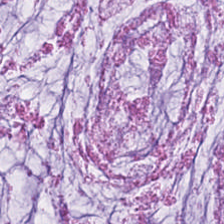H&E-stained tissue section — Classification = extracellular mucin.
